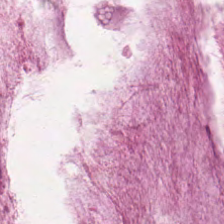FFPE tissue section; 224×224 pixel tile; H&E-stained tissue section. This patch shows extracellular mucin.
